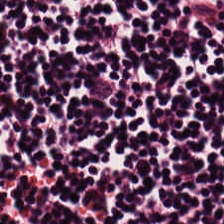Hematoxylin-and-eosin stained section. This patch shows lymphocytic infiltrate.
